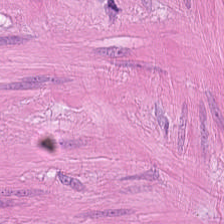{"tissue_type": "smooth-muscle tissue"}
